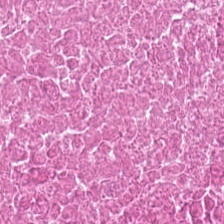224×224 px patch. H&E stain. FFPE tissue section.
The tissue here is necrotic debris.
